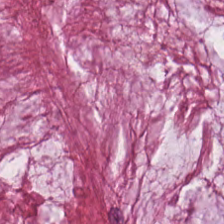Hematoxylin-and-eosin stained section.
Q: Classify this patch.
A: It is extracellular mucin.
